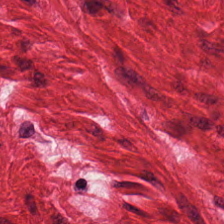Brightfield · H&E-stained tissue section — Predominantly muscularis.
